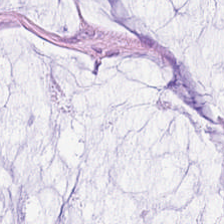Hematoxylin-and-eosin section: mucus.
